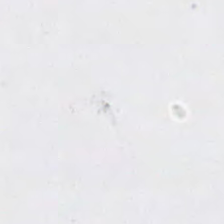Hematoxylin-and-eosin stained section · FFPE.
Impression — no tissue.
